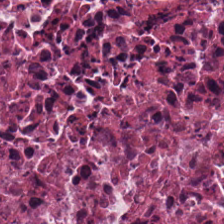H&E stain.
The tissue is necrotic debris.
